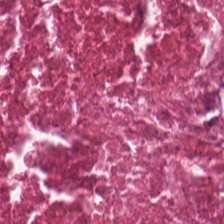H&E. Cellular debris.
